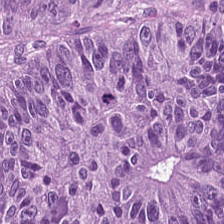The predominant tissue is adenocarcinoma.
